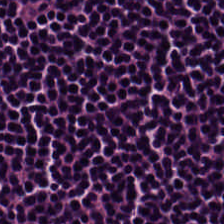Whole-slide-image patch · H&E. {"tissue_type": "lymphoid infiltrate"}
